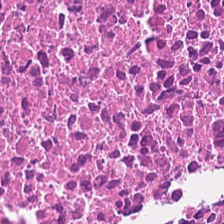224×224 px patch. Hematoxylin-and-eosin stained section. WSI patch.
Cellular debris.
